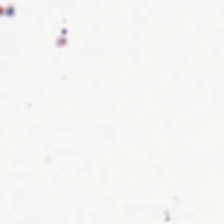Stain: H&E.
Acquisition: whole-slide-image patch.
Tile size: 224×224 px tile.
Field content: empty background.
